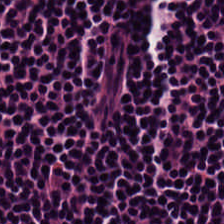Q: Identify the tissue.
A: This is lymphocytic infiltrate.
